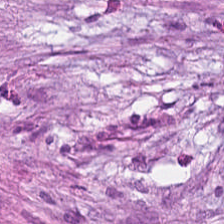Stain: H&E-stained tissue section.
Preparation: FFPE.
Tissue type: desmoplastic stroma.
